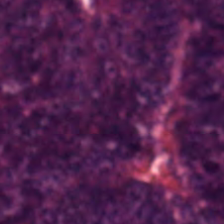0.5 µm per pixel · H&E stain · 224×224 px patch. Tissue type — colorectal adenocarcinoma.
